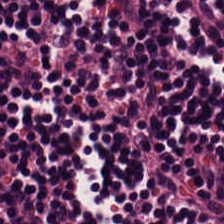H&E stain. 0.5 µm/px — This patch shows lymphocyte aggregate.
